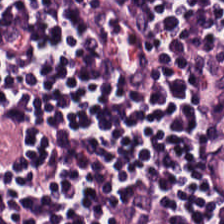Classification — lymphoid infiltrate.
